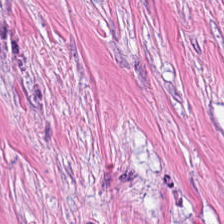Hematoxylin and eosin · whole-slide-image patch.
Classification — tumor stroma.
